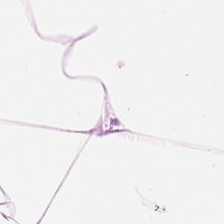H&E-stained tissue section · 224×224 pixel tile. Q: What is shown here?
A: This is fat tissue.
